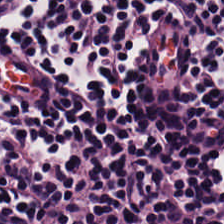H&E stain. Predominant tissue: lymphocyte aggregate.
